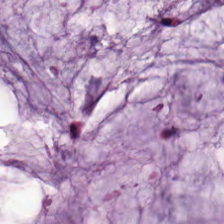Extracellular mucin.
